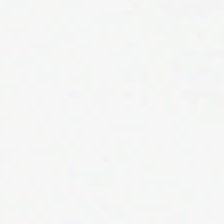H&E stain; formalin-fixed paraffin-embedded section; 224×224 pixel tile. Q: What is shown here?
A: This is background.
